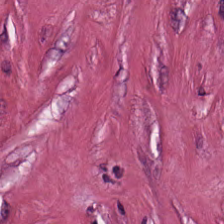H&E — Tissue type = cancer-associated stroma.
